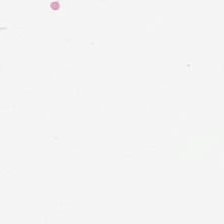H&E · 224×224 px tile · brightfield — Classification — background (no tissue).
